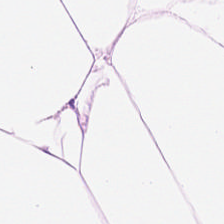Stain: H&E stain.
Resolution: 0.5 microns per pixel.
Tissue: fat tissue.
